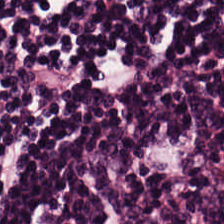H&E.
Q: Classify this patch.
A: It is lymphocytic infiltrate.
